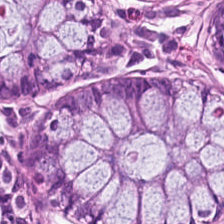Hematoxylin-and-eosin stained section. Predominantly non-neoplastic colon mucosa.
